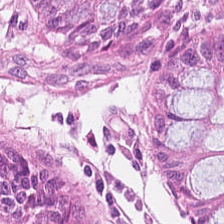H&E stain · 0.5 µm/px.
Non-neoplastic colon mucosa.
